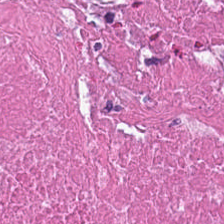Finding — necrotic debris.
